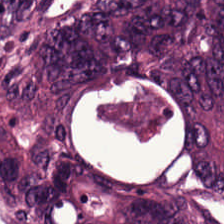Formalin-fixed paraffin-embedded section; H&E-stained tissue section. The predominant tissue is tumor epithelium.
